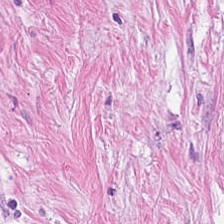{"tissue_type": "cancer-associated stroma"}
